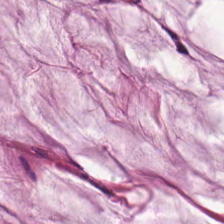Formalin-fixed paraffin-embedded section. H&E-stained tissue section. This patch shows extracellular mucin.
